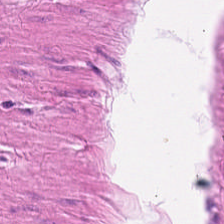The predominant tissue is muscularis.
